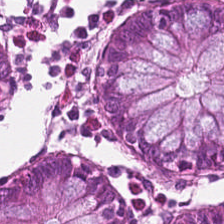This patch shows normal colon mucosa.
